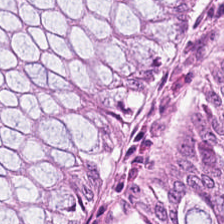Stain: H&E stain.
Preparation: FFPE.
Resolution: 0.5 µm per pixel.
Classification: normal colon mucosa.
